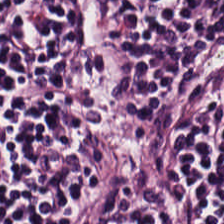FFPE · H&E-stained tissue section · 0.5 microns per pixel — Q: What type of tissue is this?
A: Lymphocytic infiltrate.
